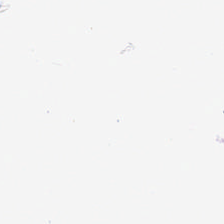Hematoxylin-and-eosin stained section. 0.5 µm per pixel. Formalin-fixed paraffin-embedded section. Finding — background (no tissue).
